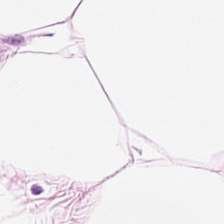H&E-stained tissue section showing adipose.
